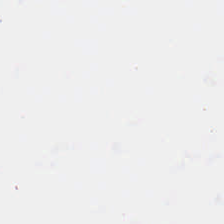Hematoxylin-and-eosin stained section.
{"content": "background (no tissue)"}
